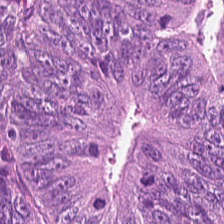H&E stain.
Predominantly malignant epithelium.
